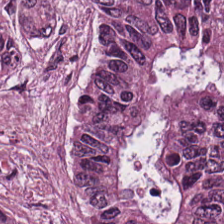H&E. Showing colorectal adenocarcinoma epithelium.
